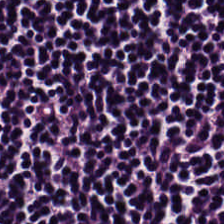Hematoxylin-and-eosin stained section — This patch shows lymphoid infiltrate.
